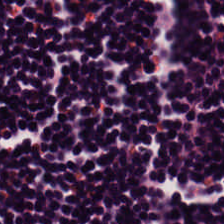Stain: hematoxylin and eosin.
Tissue class: lymphocyte aggregate.
